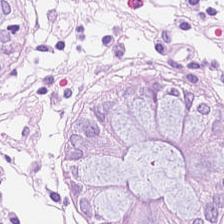0.5 µm per pixel; H&E-stained tissue section; 224×224 px patch.
{"tissue_type": "benign colonic mucosa"}
